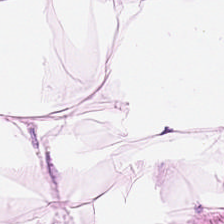Hematoxylin-and-eosin stained section. Q: What does this patch show?
A: This is fat tissue.
